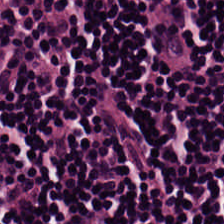Hematoxylin-and-eosin stained section.
Tissue: lymphoid infiltrate.
